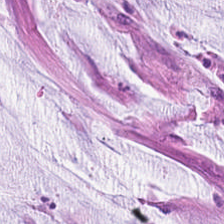H&E-stained tissue section.
This patch shows mucin.
